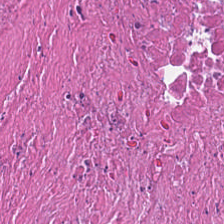H&E — Q: Identify the tissue.
A: It is necrotic debris.
